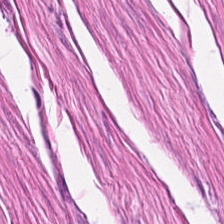Hematoxylin and eosin. FFPE tissue section.
The tissue here is smooth muscle.
